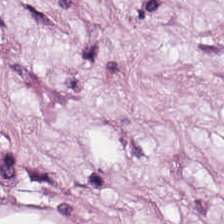H&E · FFPE · brightfield.
Predominantly adipose.
